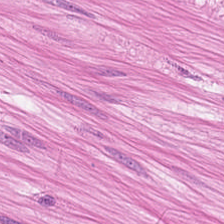Hematoxylin-and-eosin stained section — This field is smooth-muscle tissue.
